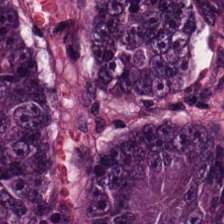20× equivalent magnification. H&E stain — Finding — adenocarcinoma.
